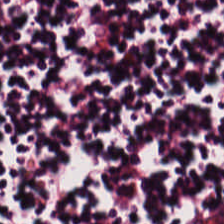Tissue class — lymphocyte aggregate.
